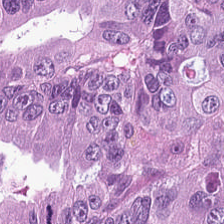Stain: H&E stain.
Tile size: 224×224 px patch.
Acquisition: brightfield microscopy.
Tissue type: malignant epithelium.
